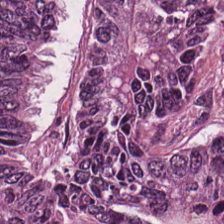Brightfield microscopy · 224×224 px patch · H&E-stained tissue section.
{"tissue_type": "adenocarcinoma"}
